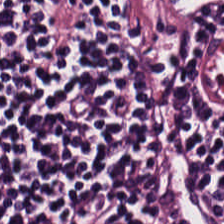H&E patch showing lymphocytic infiltrate.
